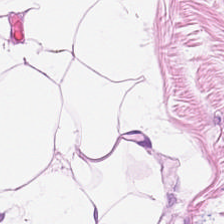Predominantly adipocytes.
